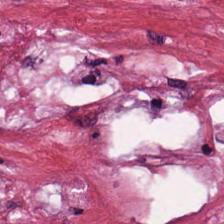H&E-stained tissue section · formalin-fixed paraffin-embedded section. Q: What is shown in this field?
A: It is desmoplastic stroma.
